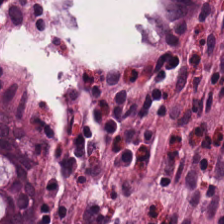{"tissue_type": "normal colon mucosa"}
